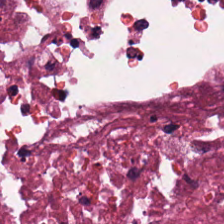This patch shows debris.
